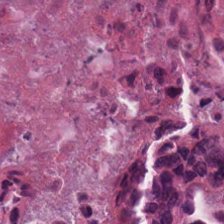Stain: H&E-stained tissue section.
Tissue type: debris.
